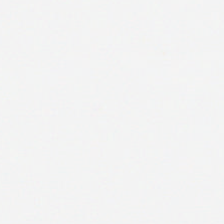H&E stain.
Histology — empty background.
